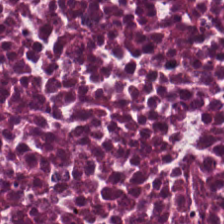H&E stain.
Debris.
